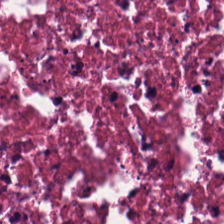Hematoxylin-and-eosin stained section — The predominant tissue is cellular debris.
